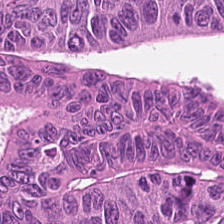Hematoxylin-and-eosin stained section — Q: What is shown in this field?
A: This is malignant epithelium.
